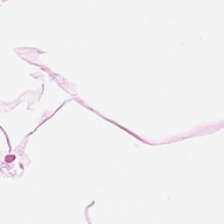H&E stain. This patch shows adipose.
